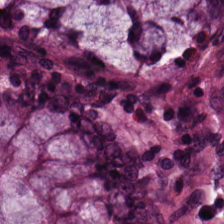H&E — Q: What is shown here?
A: Non-neoplastic colon mucosa.
